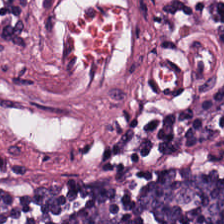Hematoxylin-and-eosin section: lymphocytes.
